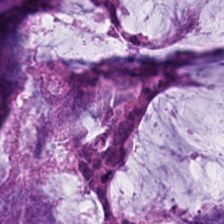H&E stain — The tissue type is extracellular mucin.
